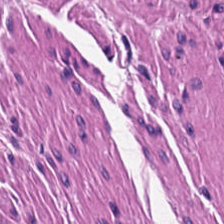Histology — muscularis.
